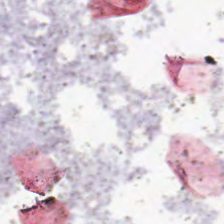Hematoxylin and eosin.
Field content: background.
